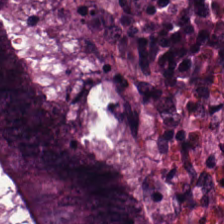Brightfield. H&E. 224×224 pixel tile — Colorectal adenocarcinoma.
